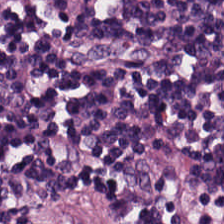H&E-stained tissue section. 20× equivalent magnification.
Impression — lymphoid infiltrate.
